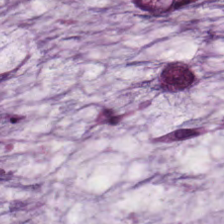224×224 pixel tile · H&E. The tissue here is extracellular mucin.
